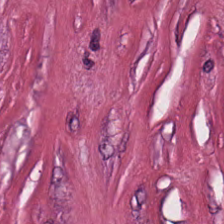Stain: H&E-stained tissue section.
Classification: tumor-associated stroma.
